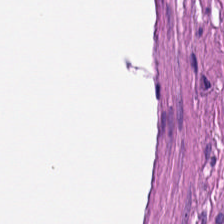H&E stain · formalin-fixed paraffin-embedded section — Histology → muscularis.
